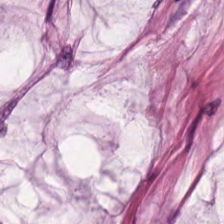H&E-stained tissue section.
Tissue type — mucus.
